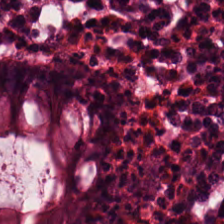Stain: hematoxylin-and-eosin stained section.
Acquisition: WSI patch.
Predominant tissue: normal colonic mucosa.
